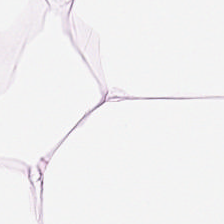H&E stain — Q: What is shown here?
A: This is adipose.
